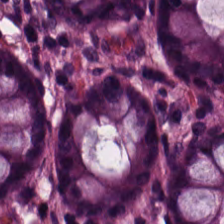Classification = benign colonic mucosa.
